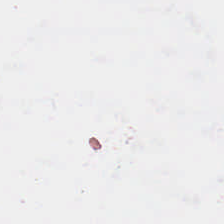0.5 µm/px · H&E. Field content: empty background.
